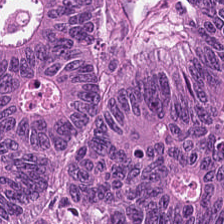Stain: H&E.
Tile size: 224×224 pixel tile.
Tissue: tumor epithelium.
